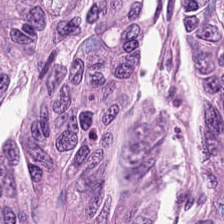FFPE · hematoxylin-and-eosin stained section · WSI patch — The predominant tissue is malignant epithelium.
